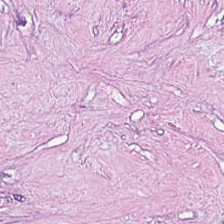Formalin-fixed paraffin-embedded section · H&E-stained tissue section · 224×224 pixel tile — Predominant tissue = necrotic debris.
